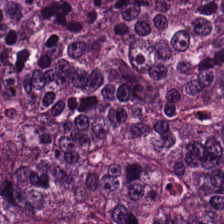Stain: H&E.
Preparation: FFPE tissue section.
Tissue type: colorectal adenocarcinoma epithelium.
